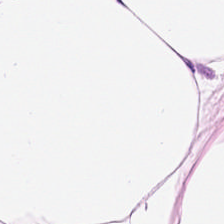H&E stain; whole-slide-image patch — Adipocytes.
